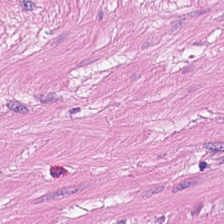H&E-stained tissue section.
Q: What type of tissue is this?
A: The field shows smooth-muscle tissue.
